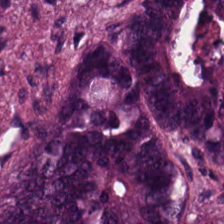Hematoxylin-and-eosin stained section · FFPE · brightfield microscopy.
This patch shows colorectal adenocarcinoma.
